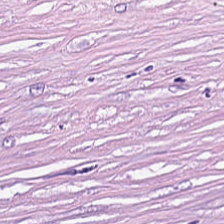H&E — cancer-associated stroma.
